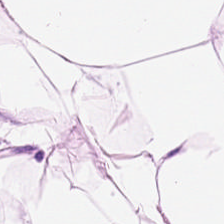Finding — adipose tissue.
